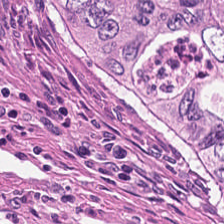H&E-stained tissue section; 224×224 px tile.
Q: Identify the tissue.
A: This is necrotic debris.
